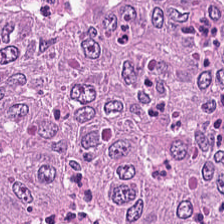H&E; 224×224 px tile.
Q: What does this patch show?
A: Colorectal adenocarcinoma epithelium.
